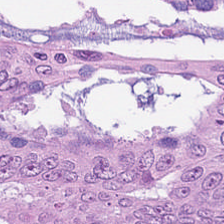FFPE tissue section · 224×224 px patch · H&E.
Adenocarcinoma.
